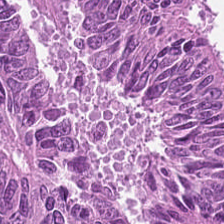Stain: H&E stain.
Tile size: 224×224 px patch.
Predominant tissue: colorectal adenocarcinoma epithelium.
